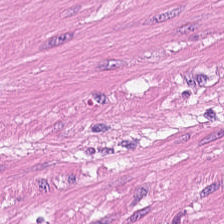Classification — muscularis.
